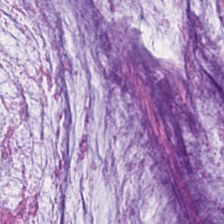Stain: H&E.
Tissue type: mucin.
